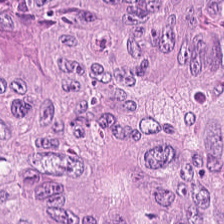0.5 microns per pixel. Whole-slide-image patch. Hematoxylin and eosin.
This patch shows tumor epithelium.
